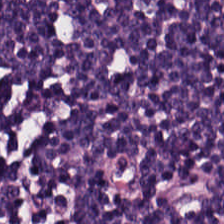H&E. Finding → lymphoid infiltrate.
